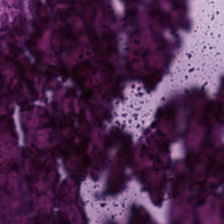H&E-stained tissue section · whole-slide-image patch · FFPE tissue section.
Finding — debris.
